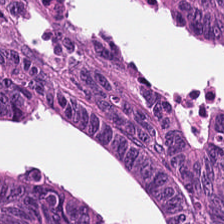Hematoxylin-and-eosin stained section — Histology — adenocarcinoma.
